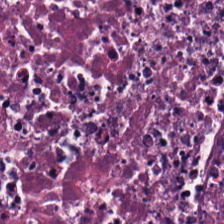{"tissue_type": "necrotic debris"}
